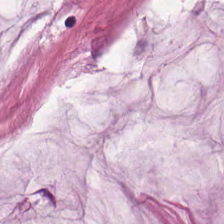H&E-stained tissue section. This field is mucus.
